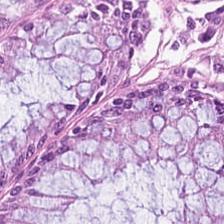0.5 microns per pixel · H&E · whole-slide-image patch.
The tissue class is benign colonic mucosa.
